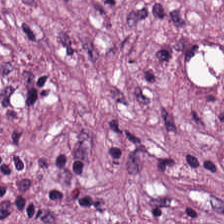Stain: H&E stain.
Classification: desmoplastic stroma.
